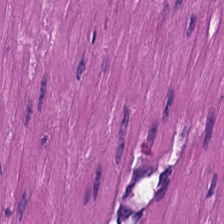H&E-stained section; the field shows smooth-muscle tissue.
